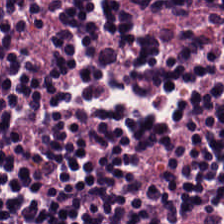Hematoxylin-and-eosin stained section. Q: What type of tissue is this?
A: The field shows lymphocytic infiltrate.
